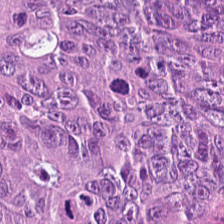Stain: H&E stain.
Resolution: 0.5 µm/px.
Tissue type: malignant epithelium.
